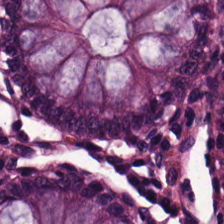Hematoxylin and eosin. Predominant tissue — normal colon mucosa.
